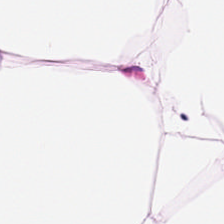Stain: hematoxylin-and-eosin stained section.
Tile size: 224×224 px tile.
Tissue type: fat tissue.
